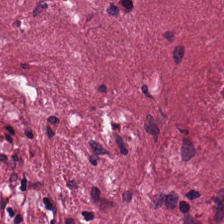20× equivalent magnification; H&E-stained tissue section — Desmoplastic stroma.
